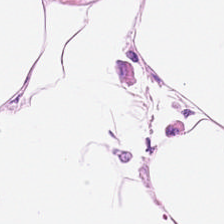Stain: H&E stain.
Tissue type: adipose.
